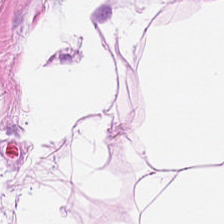Hematoxylin and eosin.
Impression — fat tissue.
